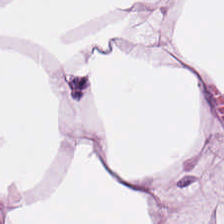Hematoxylin-and-eosin stained section · WSI patch · 20× equivalent magnification — Predominant tissue = adipose tissue.
